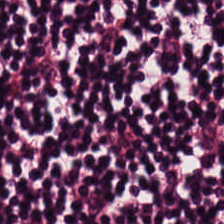H&E stain.
The tissue here is lymphocyte aggregate.
